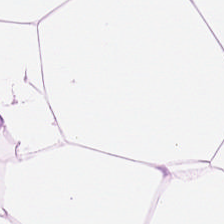H&E-stained tissue section; FFPE tissue section.
Classification: adipocytes.
